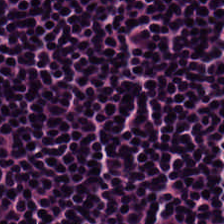Stain: H&E-stained tissue section.
Predominant tissue: lymphoid infiltrate.
